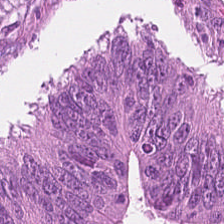H&E — Predominant tissue — colorectal adenocarcinoma epithelium.
